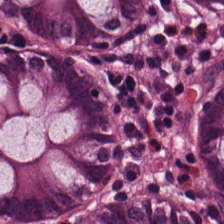Showing normal colonic mucosa.
